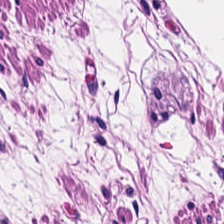H&E — Predominant tissue = muscularis.
